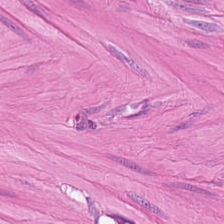H&E-stained tissue section. The tissue type is smooth-muscle tissue.
